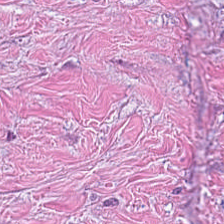Tissue type — desmoplastic stroma.
